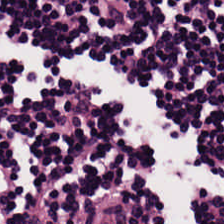Hematoxylin and eosin. 20× equivalent magnification. Whole-slide-image patch — Tissue class — lymphocytes.
